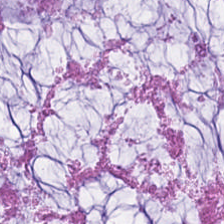H&E.
This patch shows mucin.
